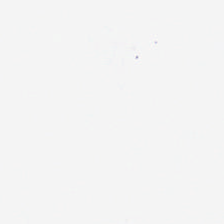H&E · FFPE. No tissue present; background only.
